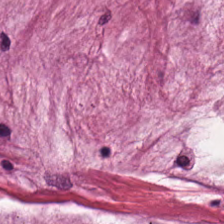H&E.
Predominant tissue: mucin.
